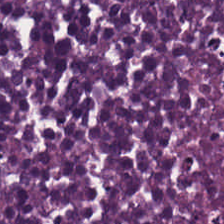224×224 px patch · H&E-stained tissue section · whole-slide-image patch. Histology → cellular debris.
